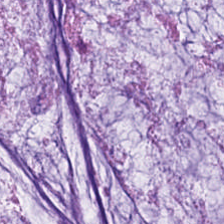Tissue type — extracellular mucin.
